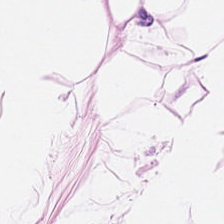H&E stain.
The classification is fat tissue.
